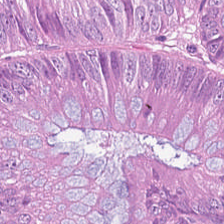H&E. 0.5 microns per pixel. Brightfield microscopy — Q: What does this patch show?
A: Malignant epithelium.
